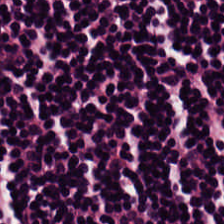This patch shows lymphoid infiltrate.
